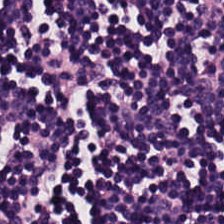Finding — lymphocyte aggregate.
